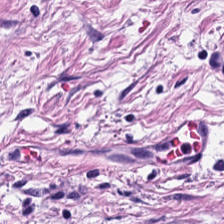0.5 µm per pixel. Hematoxylin-and-eosin stained section. FFPE tissue section.
Tissue type — cancer-associated stroma.
